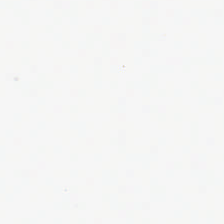Stain: hematoxylin and eosin.
Field content: empty background.
